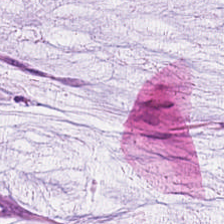H&E.
Q: What type of tissue is this?
A: Extracellular mucin.
